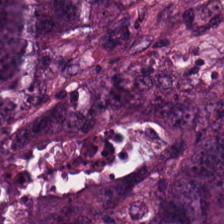H&E-stained section; the field shows tumor epithelium.
